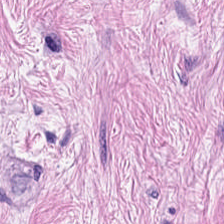0.5 µm/px. WSI patch. Hematoxylin and eosin. Tissue type = tumor-associated stroma.
